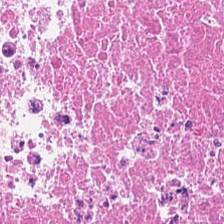This field is cellular debris.
